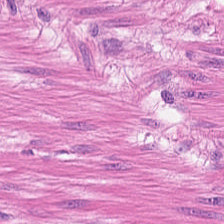H&E-stained tissue section. Predominant tissue = muscularis.
